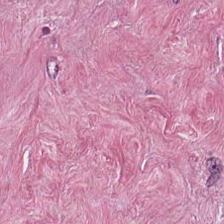Hematoxylin-and-eosin stained section — Tissue type = desmoplastic stroma.
